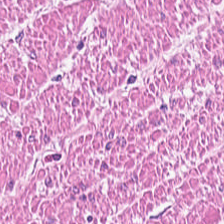Hematoxylin-and-eosin stained section — {"tissue_type": "smooth muscle"}
